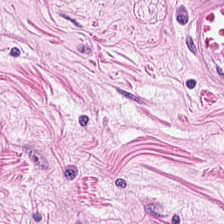H&E. Brightfield. 20× equivalent magnification.
Showing smooth-muscle tissue.
